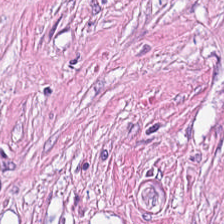H&E.
Tissue — tumor stroma.
